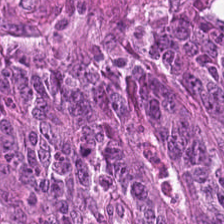Hematoxylin and eosin · 0.5 microns per pixel — Predominant tissue = colorectal adenocarcinoma.
